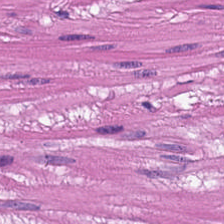H&E-stained tissue section. 224×224 px patch. 20× equivalent magnification. Tissue class = muscularis.
